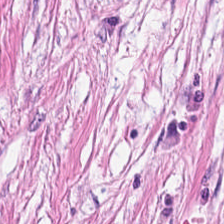Whole-slide-image patch; hematoxylin-and-eosin stained section — Q: What is shown here?
A: It is desmoplastic stroma.
